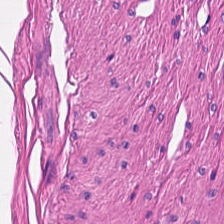The tissue class is muscularis.
